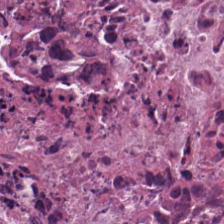H&E-stained tissue section. This patch shows cellular debris.
